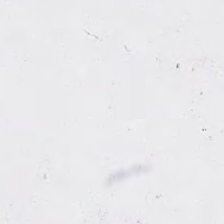Stain: H&E.
Preparation: formalin-fixed paraffin-embedded section.
Resolution: 0.5 µm/px.
Classification: no tissue.
